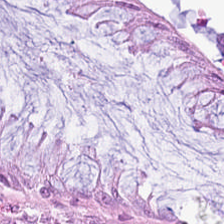H&E — normal colon mucosa.
